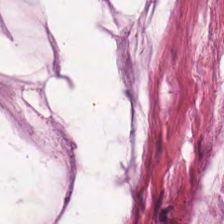Hematoxylin and eosin · FFPE · 224×224 px tile. Impression → mucus.
